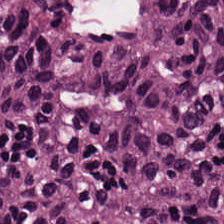H&E stain — The tissue class is malignant epithelium.
